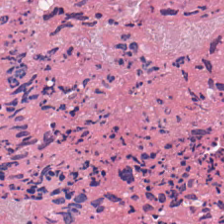0.5 µm per pixel; 224×224 pixel tile; H&E-stained tissue section.
Predominantly debris.
